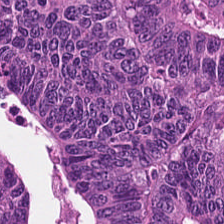Hematoxylin and eosin · 0.5 µm/px.
Tissue — adenocarcinoma.
